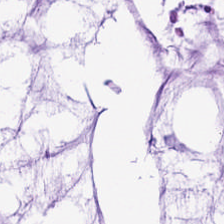H&E.
Q: What tissue type is shown here?
A: It is mucus.
